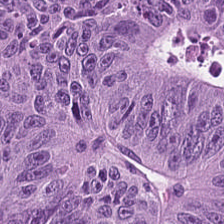H&E stain — This field is colorectal adenocarcinoma epithelium.
